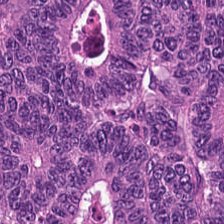Classification: adenocarcinoma.
